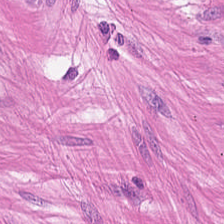Tissue: smooth-muscle tissue.
